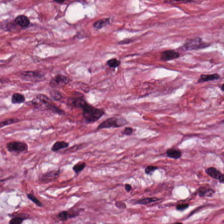Hematoxylin-and-eosin stained section — Classification — tumor-associated stroma.
